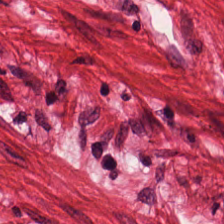Hematoxylin-and-eosin stained section — Q: What type of tissue is this?
A: It is smooth-muscle tissue.
